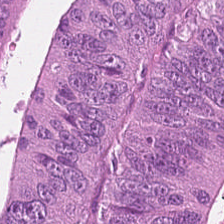H&E-stained tissue section · whole-slide-image patch.
This patch shows colorectal adenocarcinoma epithelium.
